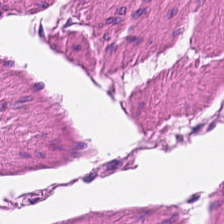Hematoxylin-and-eosin stained section — Smooth muscle.
